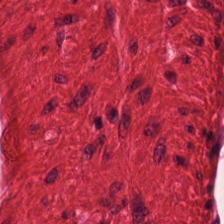Hematoxylin-and-eosin stained section.
This field is smooth muscle.
